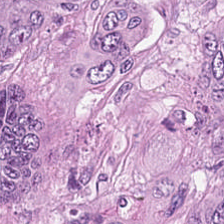H&E-stained tissue section · FFPE tissue section — Q: What is shown here?
A: Colorectal adenocarcinoma.
